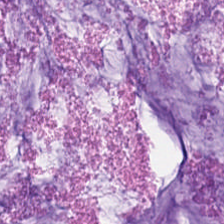Impression — mucus.
